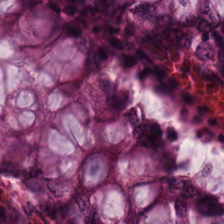Hematoxylin and eosin — The tissue type is non-neoplastic colon mucosa.
